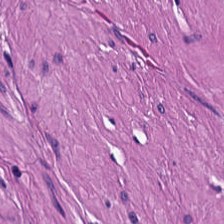Predominantly smooth-muscle tissue.
